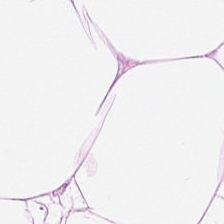H&E.
The tissue is adipose tissue.
